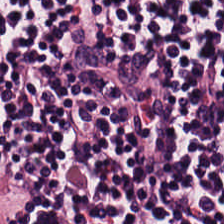Stain: hematoxylin-and-eosin stained section.
Resolution: 20× equivalent magnification.
Tissue type: lymphocyte aggregate.
